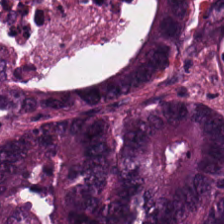Hematoxylin-and-eosin stained section. The classification is malignant epithelium.
